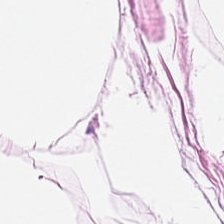H&E — Impression — adipose.
